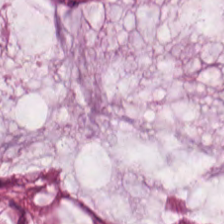Histology — mucin.
